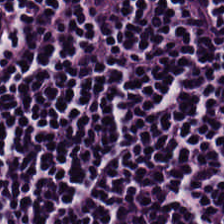Q: What is the predominant tissue type?
A: The field shows lymphoid infiltrate.
